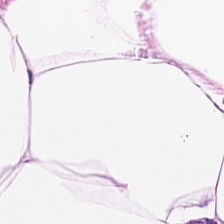Q: What tissue type is shown here?
A: This is adipose.
